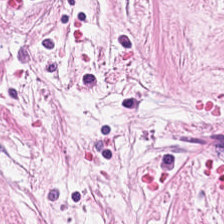H&E. Q: What does this patch show?
A: The field shows tumor-associated stroma.
